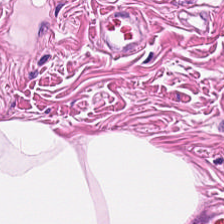Hematoxylin-and-eosin stained section. Impression → smooth muscle.
